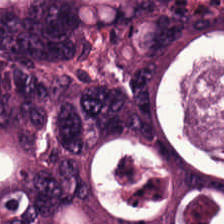H&E stain. 224×224 px tile. FFPE — Showing tumor epithelium.
